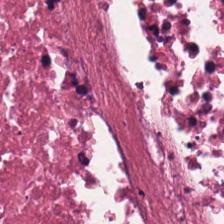Hematoxylin and eosin.
This patch shows necrotic debris.
